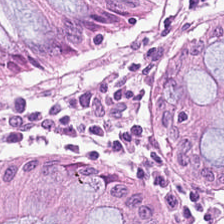H&E stain — Showing non-neoplastic colon mucosa.
